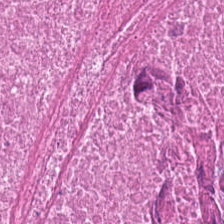Tissue class: necrotic debris.
